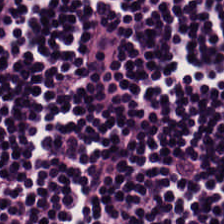H&E-stained section; the field shows lymphocytes.
